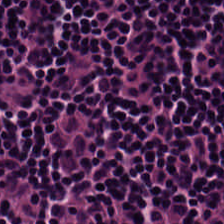H&E. Tissue type — lymphocytes.
